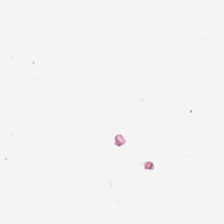Background — no tissue in this field.
